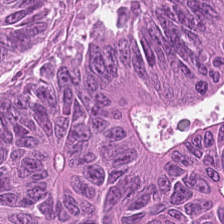Hematoxylin-and-eosin stained section · 224×224 px patch — This field is tumor epithelium.
